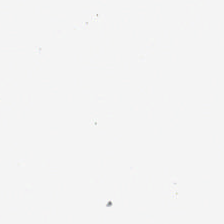Hematoxylin and eosin · brightfield.
The content is no tissue.
